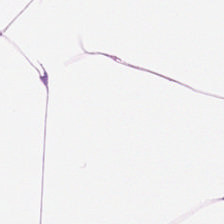Stain: H&E-stained tissue section.
Acquisition: brightfield microscopy.
Preparation: FFPE.
Classification: adipose.
